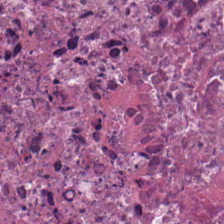0.5 µm/px. Hematoxylin and eosin — Q: Identify the tissue.
A: The field shows debris.
